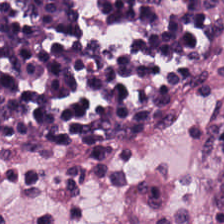H&E stain · FFPE tissue section — This field is lymphocyte aggregate.
